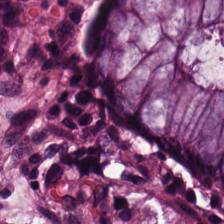Hematoxylin and eosin. Impression → non-neoplastic colon mucosa.
